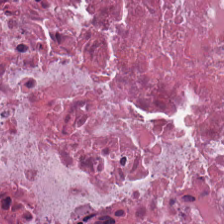H&E stain. Showing debris.
